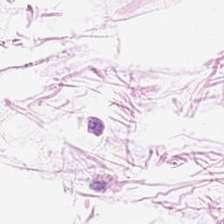H&E-stained tissue section — This field is adipose tissue.
